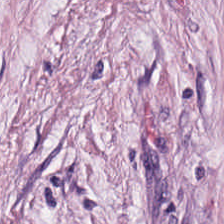FFPE tissue section; H&E stain.
Tissue type — cancer-associated stroma.
